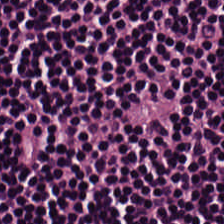FFPE. 0.5 µm per pixel. H&E.
Tissue: lymphocytic infiltrate.
